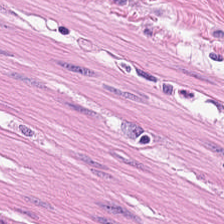FFPE. Hematoxylin and eosin. 224×224 px tile — Predominantly smooth-muscle tissue.
